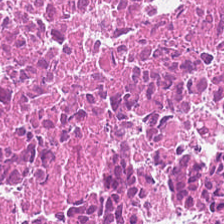H&E. Q: Classify this patch.
A: Cellular debris.
